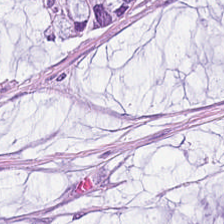Stain: hematoxylin-and-eosin stained section.
Acquisition: brightfield.
Classification: mucus.
